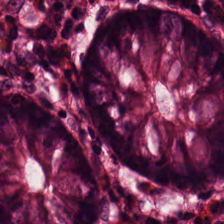Histology — benign colonic mucosa.
